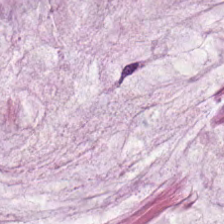The tissue type is extracellular mucin.
